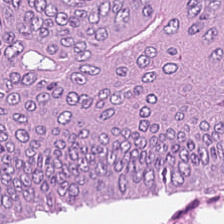0.5 microns per pixel; 224×224 px patch; H&E-stained tissue section.
Q: Classify this patch.
A: This is adenocarcinoma.
